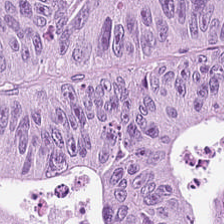Showing malignant epithelium.
